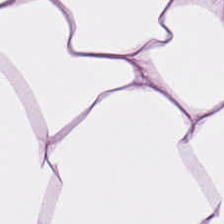H&E-stained section; the field shows adipocytes.
